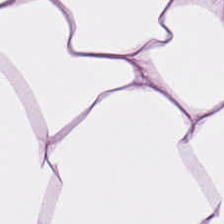H&E-stained section; the field shows adipocytes.
